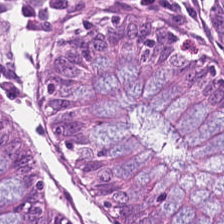224×224 px tile; hematoxylin-and-eosin stained section — The tissue is non-neoplastic colon mucosa.
